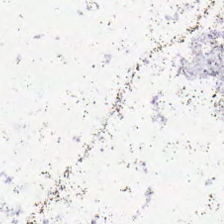Hematoxylin and eosin — {"content": "empty background"}
